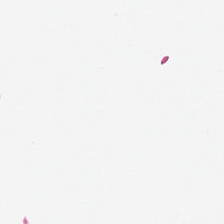Stain: hematoxylin and eosin.
Content: background.
